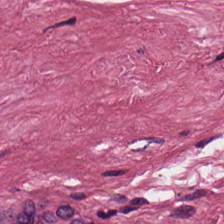Stain: H&E.
Preparation: formalin-fixed paraffin-embedded section.
Tissue: tumor stroma.
